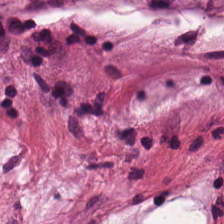Stain: hematoxylin-and-eosin stained section.
Classification: mucus.
